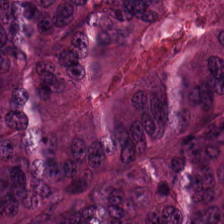H&E stain — Classification — tumor epithelium.
